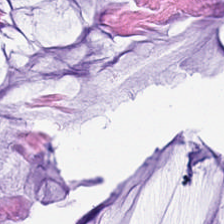Hematoxylin-and-eosin stained section · whole-slide-image patch.
Mucus.
